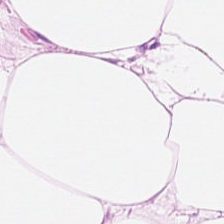WSI patch; H&E stain; formalin-fixed paraffin-embedded section.
This patch shows adipocytes.
